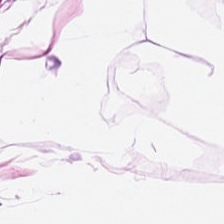H&E stain · whole-slide-image patch.
Tissue type: adipocytes.
